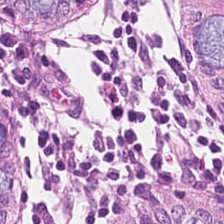H&E stain. This field is normal colonic mucosa.
